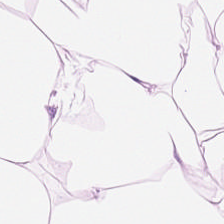Showing adipocytes.
